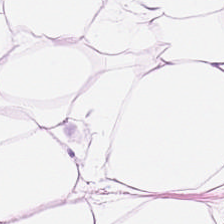Q: What is shown in this field?
A: Adipose tissue.
